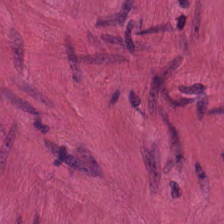Predominantly smooth-muscle tissue.
